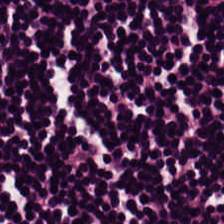FFPE tissue section; hematoxylin and eosin. Classification = lymphocytes.
